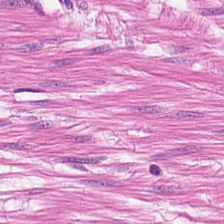H&E stain. Smooth muscle.
